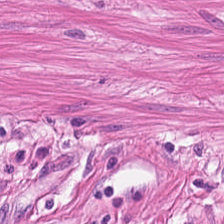224×224 pixel tile; formalin-fixed paraffin-embedded section; H&E stain. Tissue type = muscularis.
